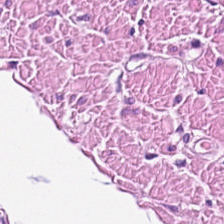H&E-stained tissue section. 224×224 pixel tile — Impression → muscularis.
